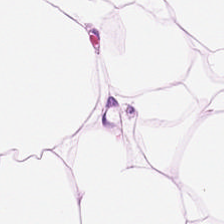H&E stain · FFPE. Predominant tissue = adipose tissue.
